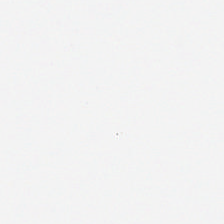Brightfield microscopy; hematoxylin-and-eosin stained section. {"content": "background"}
